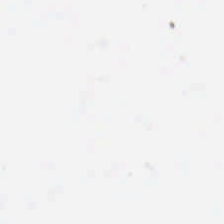Background (no tissue).
